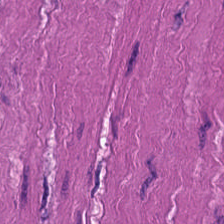H&E-stained tissue section; 224×224 pixel tile; 20× equivalent magnification.
Impression → smooth-muscle tissue.
